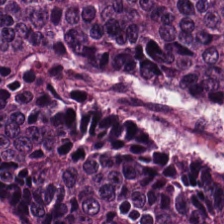H&E-stained tissue section.
Adenocarcinoma.
